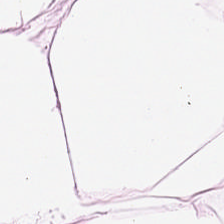H&E-stained tissue section.
Classification: adipocytes.
